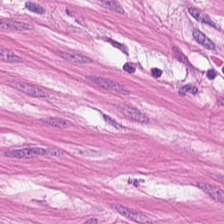Hematoxylin-and-eosin stained section.
{"tissue_type": "smooth-muscle tissue"}
